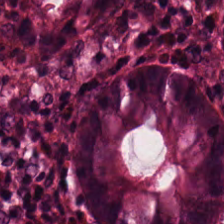Hematoxylin-and-eosin section: benign colonic mucosa.
